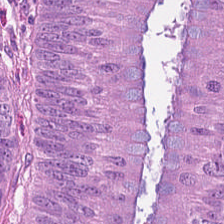Tissue — adenocarcinoma.
